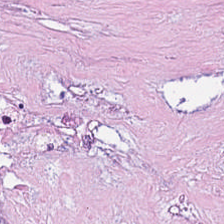H&E stain.
Q: What is shown in this field?
A: This is cellular debris.
